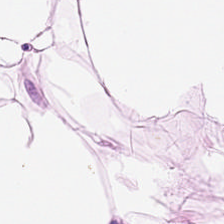H&E stain.
Finding → adipose.
